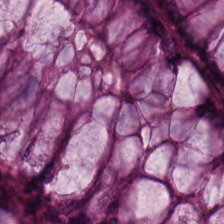224×224 px patch · H&E · FFPE. The classification is non-neoplastic colon mucosa.
